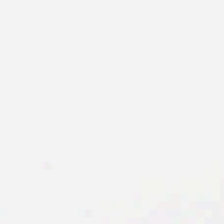H&E · FFPE tissue section. Field content = background (no tissue).
